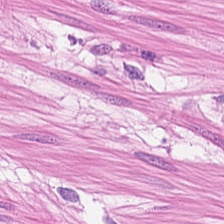Q: What is the predominant tissue type?
A: It is muscularis.
